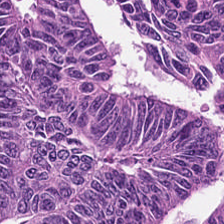The predominant tissue is adenocarcinoma.
